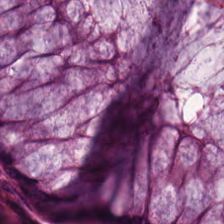Brightfield · 224×224 px patch · H&E-stained tissue section.
This patch shows benign colonic mucosa.
